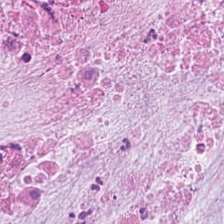FFPE · hematoxylin-and-eosin stained section.
Mucus.
